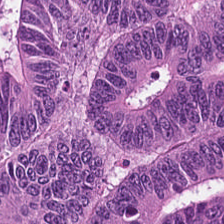{"tissue_type": "colorectal adenocarcinoma"}
